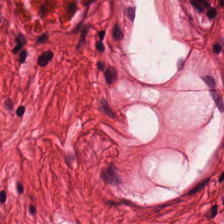H&E-stained tissue section.
The tissue is smooth-muscle tissue.
